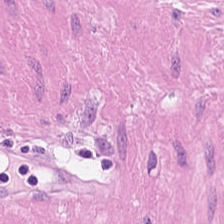Tissue — smooth muscle.
